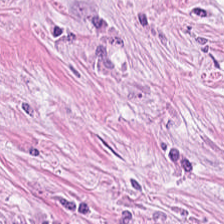Tissue — tumor stroma.
